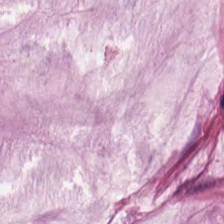Predominant tissue = mucin.
